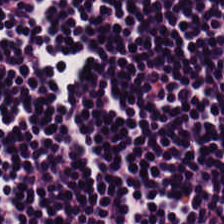Finding — lymphocyte aggregate.
